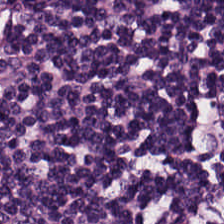224×224 pixel tile · hematoxylin and eosin · whole-slide-image patch — Tissue type = lymphocytic infiltrate.
